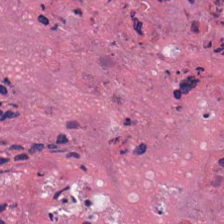0.5 µm per pixel. Hematoxylin-and-eosin stained section.
This patch shows debris.
